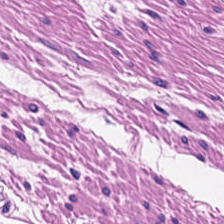Q: What is shown here?
A: This is muscularis.
